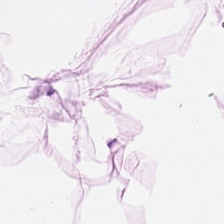0.5 µm per pixel; hematoxylin and eosin.
This patch shows fat tissue.
